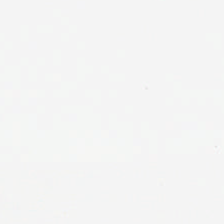H&E-stained tissue section.
{"content": "background (no tissue)"}
